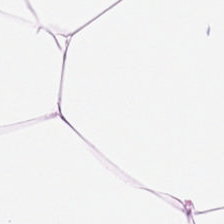Stain: hematoxylin-and-eosin stained section.
Tile size: 224×224 px tile.
Tissue: adipocytes.
